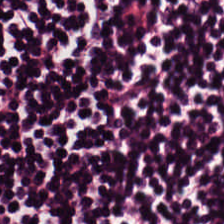Hematoxylin and eosin · 224×224 pixel tile. Histology → lymphoid infiltrate.
